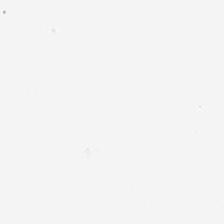Brightfield microscopy. H&E stain. Background — no tissue in this field.
